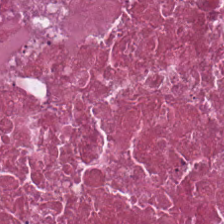H&E; brightfield microscopy — The tissue here is debris.
